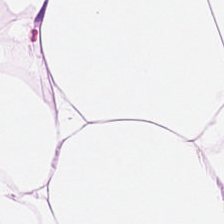H&E — fat tissue.
